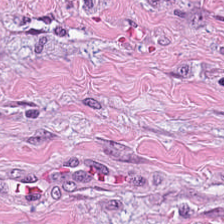Stain: hematoxylin and eosin.
Classification: tumor stroma.
